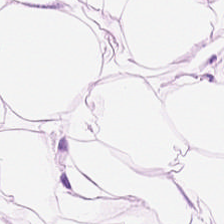Hematoxylin and eosin — Q: What tissue type is shown here?
A: Adipose.
